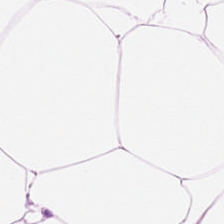H&E stain.
This patch shows adipose.
